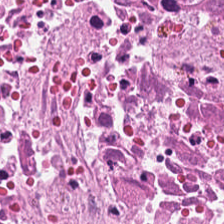Stain: H&E.
Predominant tissue: cellular debris.
